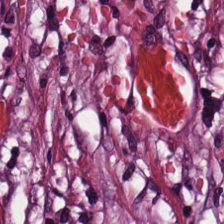H&E-stained tissue section. Q: What tissue type is shown here?
A: Tumor stroma.
